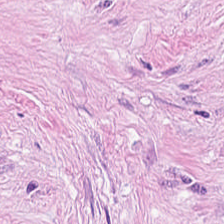H&E-stained tissue section showing tumor stroma.
